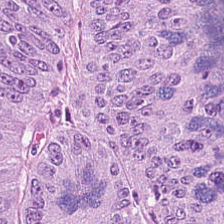Colorectal adenocarcinoma.
